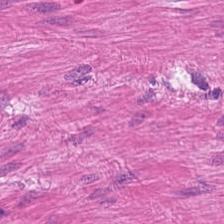Hematoxylin and eosin. Q: What type of tissue is this?
A: The field shows smooth-muscle tissue.
